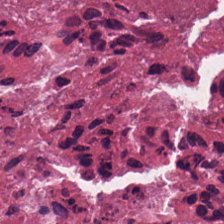Stain: H&E-stained tissue section.
Preparation: FFPE.
Resolution: 20× equivalent magnification.
Tissue class: debris.
